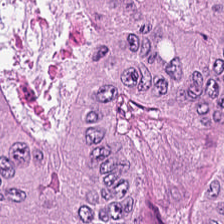Classification — malignant epithelium.
